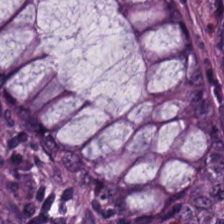H&E — normal colonic mucosa.
